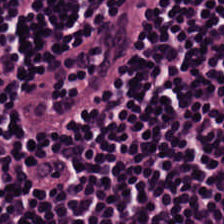Hematoxylin and eosin — Q: What does this patch show?
A: The field shows lymphocytes.
